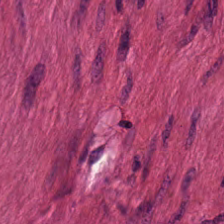H&E patch showing smooth-muscle tissue.
